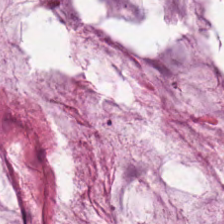H&E — extracellular mucin.
